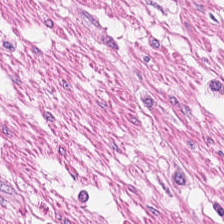H&E-stained tissue section — The predominant tissue is smooth muscle.
